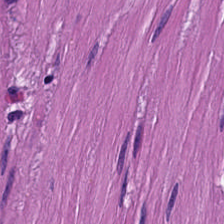H&E patch showing smooth-muscle tissue.
